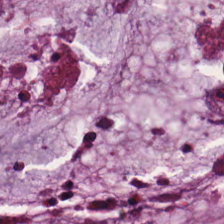Classification: mucus.
